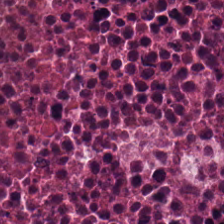Hematoxylin and eosin. 20× equivalent magnification.
This field is cellular debris.
